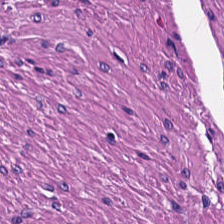224×224 px patch; brightfield; H&E-stained tissue section. This field is muscularis.
